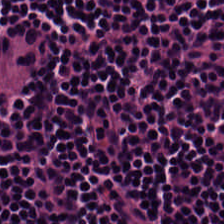Tissue class — lymphocytic infiltrate.
